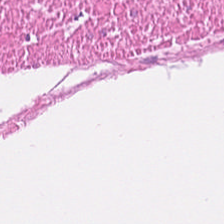Brightfield. 0.5 µm/px. H&E — Predominant tissue — smooth muscle.
